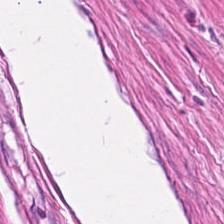Hematoxylin-and-eosin stained section · 224×224 pixel tile — Impression — smooth-muscle tissue.
